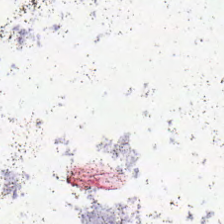H&E-stained tissue section.
No tissue present; background only.
